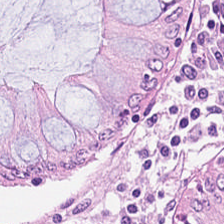H&E-stained tissue section. Q: What type of tissue is this?
A: It is normal colon mucosa.
